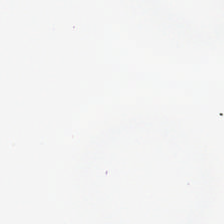H&E. Impression → background (no tissue).
